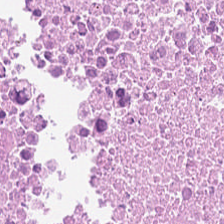Tissue: debris.
